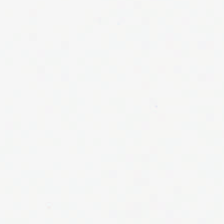WSI patch. H&E. 224×224 px patch — Background — no tissue in this field.
